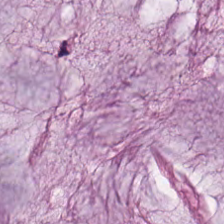H&E-stained tissue section · 224×224 px patch. The tissue here is extracellular mucin.
